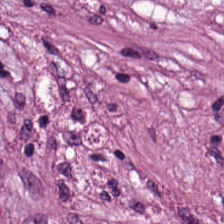Hematoxylin and eosin. Tissue class — tumor stroma.
